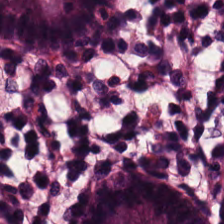Stain: hematoxylin-and-eosin stained section.
Preparation: formalin-fixed paraffin-embedded section.
Acquisition: brightfield microscopy.
Predominant tissue: normal colonic mucosa.
